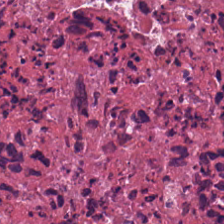Tissue — cellular debris.
